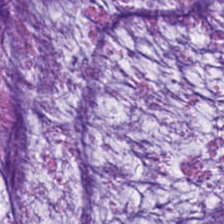Hematoxylin and eosin — Q: What does this patch show?
A: This is mucin.
